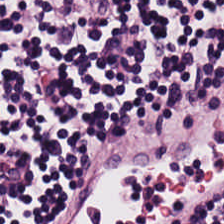Hematoxylin-and-eosin stained section — Q: What tissue is shown?
A: This is lymphocytic infiltrate.
